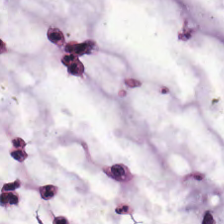H&E-stained tissue section. Predominantly mucus.
